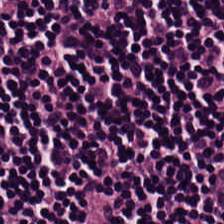Hematoxylin and eosin · brightfield microscopy · FFPE — The predominant tissue is lymphocytes.
